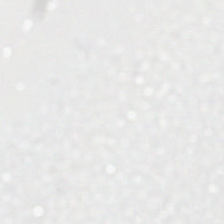H&E-stained tissue section. Background — no tissue in this field.
